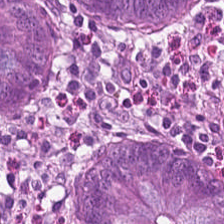H&E · formalin-fixed paraffin-embedded section.
{"tissue_type": "normal colon mucosa"}
